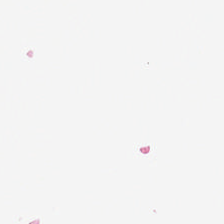Brightfield · hematoxylin-and-eosin stained section.
Q: Classify this patch.
A: The field shows no tissue.
